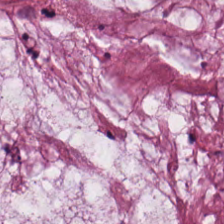This patch shows mucin.
